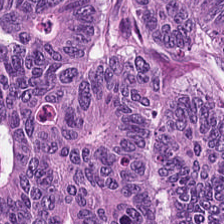WSI patch · 0.5 microns per pixel · H&E-stained tissue section — Predominantly tumor epithelium.
